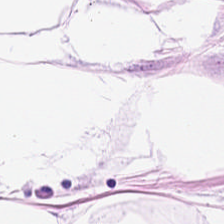Stain: H&E stain.
Tissue type: adipose tissue.
